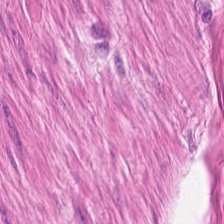H&E.
Predominantly smooth-muscle tissue.
